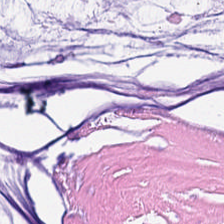This field is mucus.
